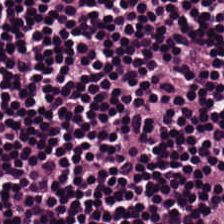Stain: H&E-stained tissue section.
Classification: lymphocyte aggregate.
